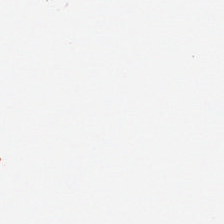FFPE tissue section · hematoxylin and eosin.
This field is background (no tissue).
